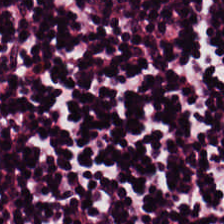WSI patch. H&E. 20× equivalent magnification.
Lymphocyte aggregate.
